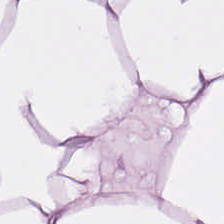224×224 px tile. WSI patch. H&E — Tissue class: adipose.
